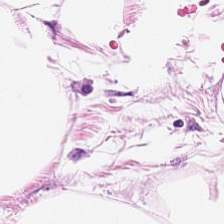Hematoxylin-and-eosin stained section.
The tissue class is adipose.
